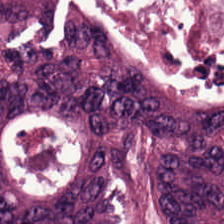H&E stain.
Tissue class = colorectal adenocarcinoma epithelium.
